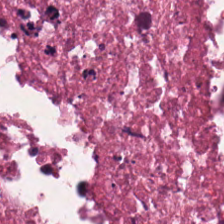Stain: H&E.
Resolution: 20× equivalent magnification.
Preparation: FFPE.
Tissue type: cellular debris.
